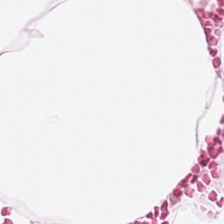H&E stain — Tissue: adipose.
